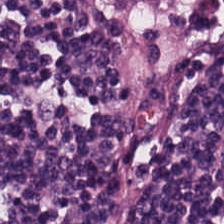FFPE tissue section; H&E stain.
The tissue is lymphocytes.
